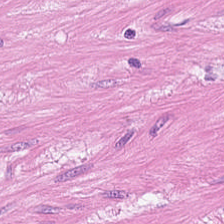Stain: H&E stain.
Predominant tissue: smooth-muscle tissue.
